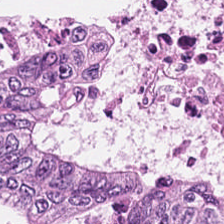Tissue class: colorectal adenocarcinoma epithelium.
